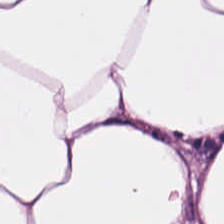Predominantly fat tissue.
